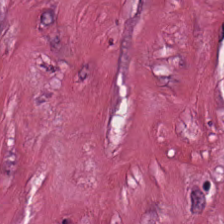H&E-stained tissue section.
Predominant tissue: tumor-associated stroma.
